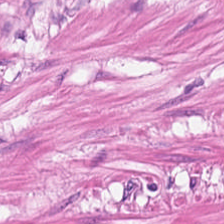Q: What tissue is shown?
A: It is muscularis.
